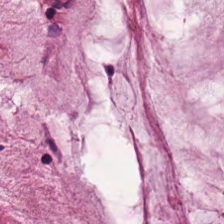224×224 px tile; H&E-stained tissue section. Q: What is the predominant tissue type?
A: It is mucin.
